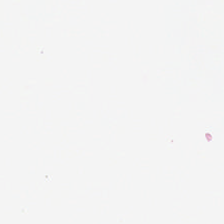Hematoxylin and eosin — Empty field — background (no tissue).
